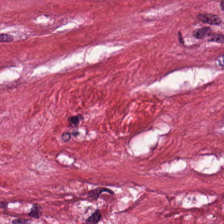H&E · 0.5 µm/px.
Showing desmoplastic stroma.
